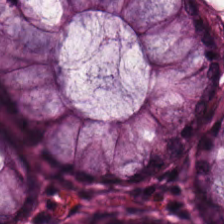Stain: hematoxylin and eosin.
Predominant tissue: benign colonic mucosa.
